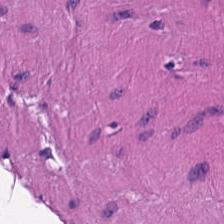224×224 px patch · hematoxylin and eosin. Tissue — smooth-muscle tissue.
